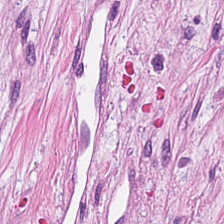H&E-stained tissue section — Q: What tissue type is shown here?
A: It is tumor-associated stroma.
